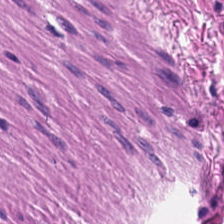H&E-stained tissue section. Classification — smooth-muscle tissue.
